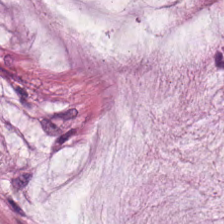Hematoxylin-and-eosin stained section — Impression — extracellular mucin.
